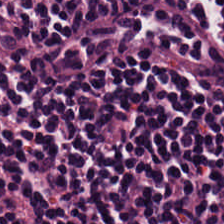Q: What is the predominant tissue type?
A: The field shows lymphocyte aggregate.
